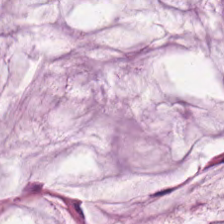224×224 px tile. H&E stain. Classification = mucin.
